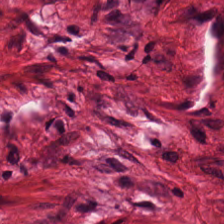Q: Identify the tissue.
A: The field shows smooth-muscle tissue.
